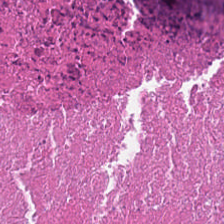Hematoxylin-and-eosin stained section; formalin-fixed paraffin-embedded section.
This field is necrotic debris.
